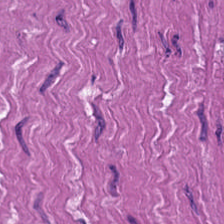Stain: H&E.
Tissue type: smooth-muscle tissue.
